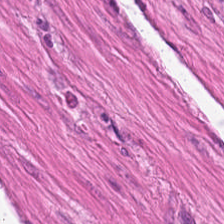224×224 pixel tile; hematoxylin and eosin — The tissue here is smooth muscle.
